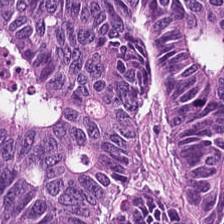Hematoxylin-and-eosin stained section; WSI patch; FFPE.
Tissue: tumor epithelium.
